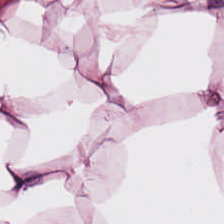H&E-stained tissue section showing adipose.
